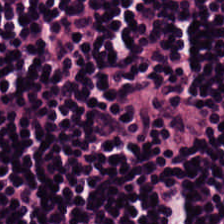Hematoxylin and eosin.
This patch shows lymphocyte aggregate.
